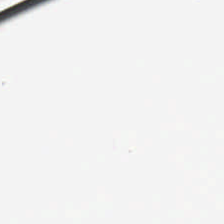H&E stain — No tissue present; background only.
